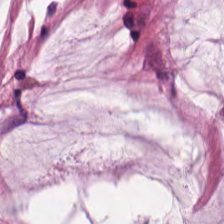H&E-stained tissue section. This field is mucus.
